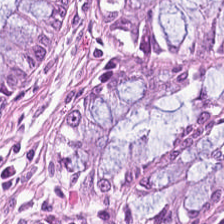Classification = benign colonic mucosa.
